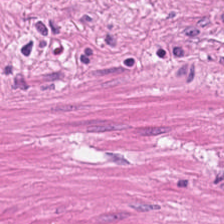H&E stain. Muscularis.
